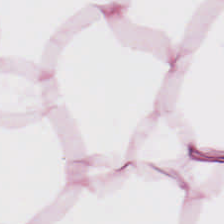Hematoxylin-and-eosin stained section. Q: Identify the tissue.
A: Adipocytes.
